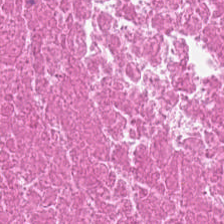Finding → necrotic debris.
